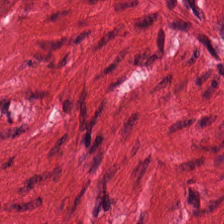Formalin-fixed paraffin-embedded section · H&E-stained tissue section.
Tissue type — muscularis.
